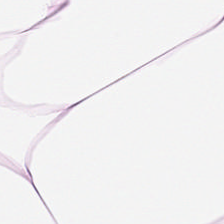H&E-stained tissue section — Q: What tissue type is shown here?
A: This is adipose tissue.
